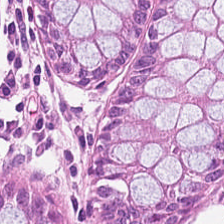H&E-stained tissue section. Tissue type = non-neoplastic colon mucosa.
